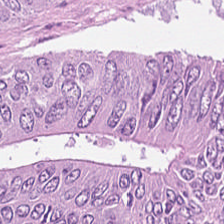Whole-slide-image patch. H&E stain — This patch shows adenocarcinoma.
